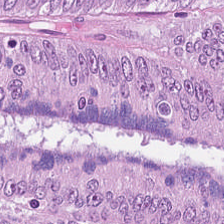Tissue class: malignant epithelium.
